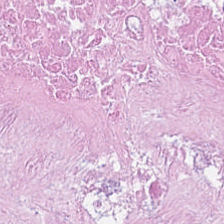H&E stain — Predominantly cellular debris.
